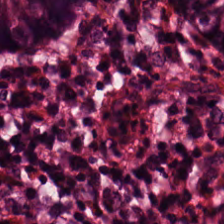Hematoxylin-and-eosin stained section — Classification: normal colonic mucosa.
